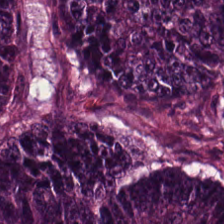Stain: H&E stain.
Preparation: FFPE.
Acquisition: whole-slide-image patch.
Tissue type: tumor epithelium.
